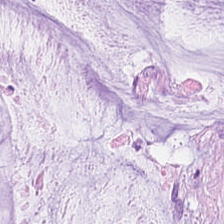H&E; WSI patch; 224×224 px patch. This patch shows mucus.
